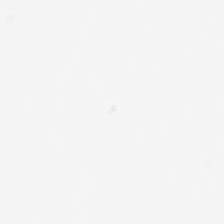Hematoxylin-and-eosin stained section · whole-slide-image patch — Q: What is shown in this field?
A: The field shows no tissue.
